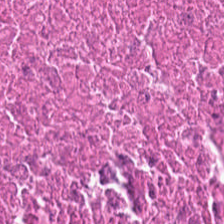H&E-stained tissue section showing necrotic debris.
